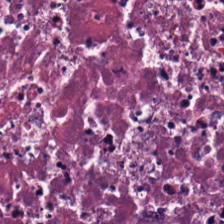H&E stain — Showing cellular debris.
